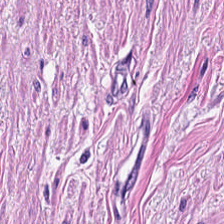H&E stain — Tissue class: smooth-muscle tissue.
